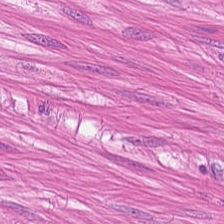Hematoxylin and eosin — Tissue class: smooth muscle.
